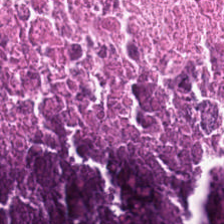Hematoxylin and eosin; FFPE tissue section — The predominant tissue is debris.
